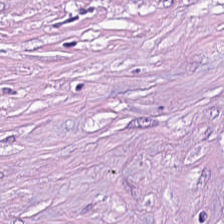Stain: H&E.
Acquisition: whole-slide-image patch.
Tissue: cancer-associated stroma.
